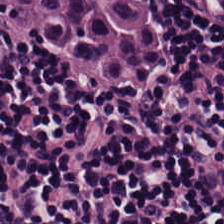H&E-stained tissue section.
Tissue class = lymphocyte aggregate.
